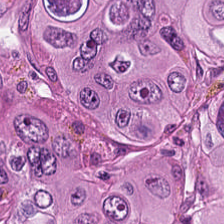Hematoxylin and eosin.
Q: Identify the tissue.
A: The field shows malignant epithelium.
